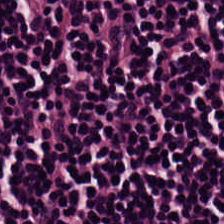FFPE; hematoxylin and eosin; whole-slide-image patch.
This patch shows lymphoid infiltrate.
